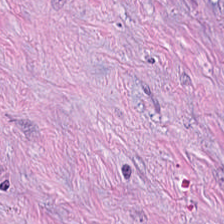H&E patch showing tumor-associated stroma.
